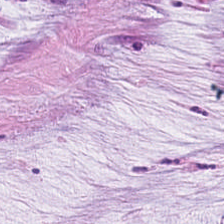H&E-stained tissue section. Q: What is the predominant tissue type?
A: Mucin.
